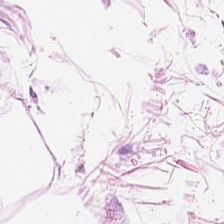This field is fat tissue.
